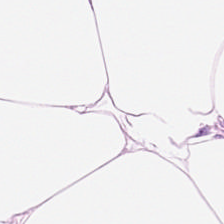H&E stain.
Q: What is shown here?
A: It is adipocytes.
